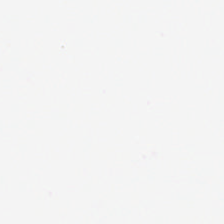Stain: H&E-stained tissue section.
Content: background (no tissue).
